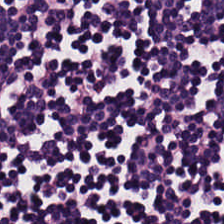Hematoxylin-and-eosin stained section. 224×224 px tile. Brightfield — Predominantly lymphoid infiltrate.
